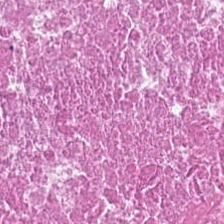Formalin-fixed paraffin-embedded section. 224×224 pixel tile. Hematoxylin-and-eosin stained section. Tissue type: cellular debris.
